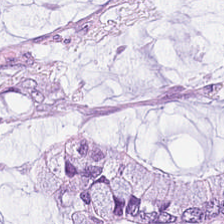Brightfield. Hematoxylin-and-eosin stained section. FFPE tissue section.
The predominant tissue is extracellular mucin.
